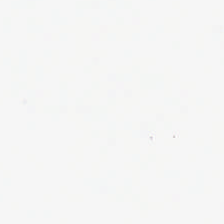224×224 px patch. H&E-stained tissue section. This patch shows background.
